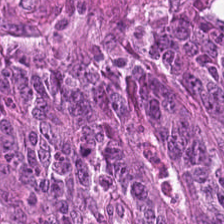Brightfield microscopy. 224×224 pixel tile. H&E.
This field is malignant epithelium.
